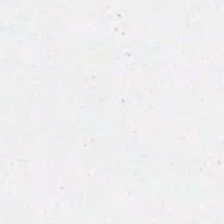H&E.
Empty field — background.
